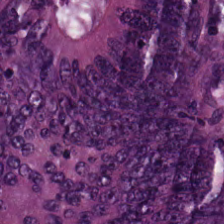Hematoxylin and eosin.
This patch shows malignant epithelium.
